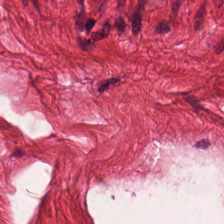H&E. The predominant tissue is smooth muscle.
